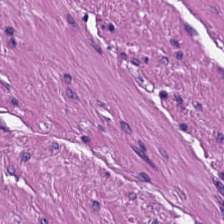Showing smooth-muscle tissue.
